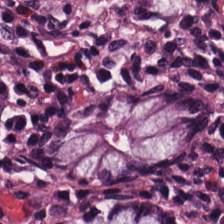FFPE; H&E; 224×224 px tile. {"tissue_type": "normal colonic mucosa"}
